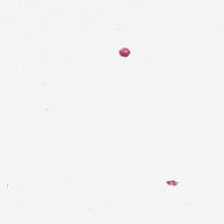H&E; whole-slide-image patch. Background — no tissue in this field.
